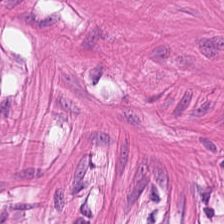This patch shows smooth muscle.
